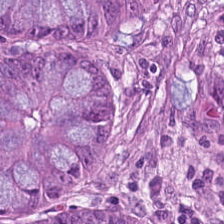Hematoxylin-and-eosin stained section.
Predominant tissue = colorectal adenocarcinoma.
